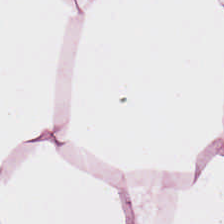This patch shows adipose tissue.
